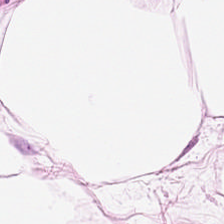H&E stain.
This patch shows adipose tissue.
